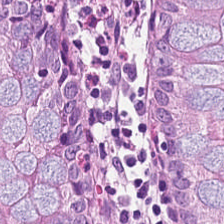Hematoxylin-and-eosin stained section — Classification = benign colonic mucosa.
